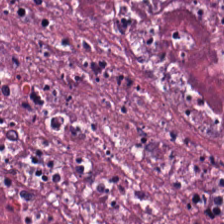Hematoxylin-and-eosin stained section. WSI patch. The tissue here is cellular debris.
